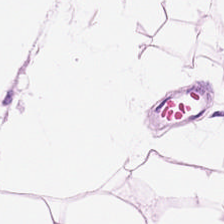224×224 pixel tile; hematoxylin-and-eosin stained section — Finding → adipocytes.
